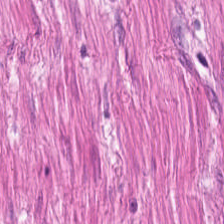Hematoxylin and eosin. Histology — smooth-muscle tissue.
